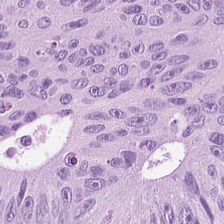H&E-stained tissue section. Finding → adenocarcinoma.
